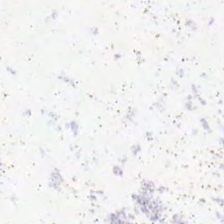Background — no tissue in this field.
